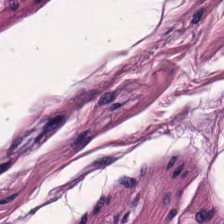Hematoxylin and eosin.
Q: Classify this patch.
A: This is smooth muscle.
